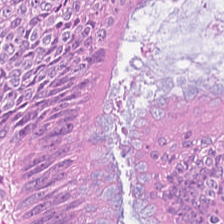H&E-stained tissue section. The tissue here is colorectal adenocarcinoma epithelium.
